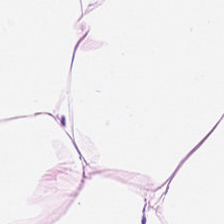Hematoxylin-and-eosin stained section. 224×224 px tile. 20× equivalent magnification. Tissue type = adipose tissue.
